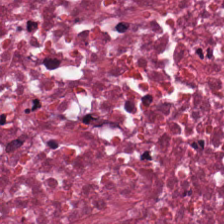20× equivalent magnification. Hematoxylin-and-eosin stained section. 224×224 px tile — Histology → debris.
